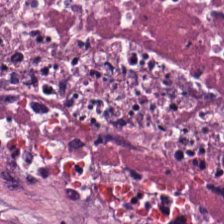0.5 µm/px · FFPE tissue section · H&E stain.
The predominant tissue is cellular debris.
